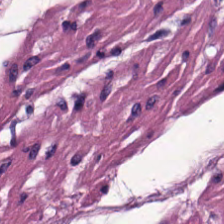H&E — {"tissue_type": "smooth muscle"}
